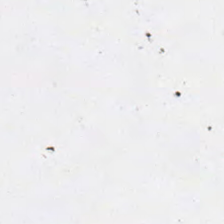H&E stain · brightfield microscopy — Classification: background (no tissue).
